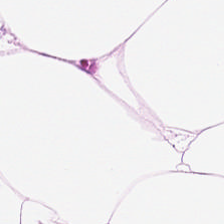Hematoxylin and eosin · 224×224 px patch — Q: Classify this patch.
A: Adipose.
